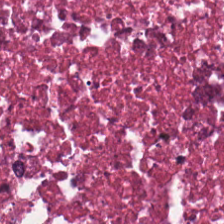Hematoxylin-and-eosin stained section; formalin-fixed paraffin-embedded section — Predominant tissue: debris.
